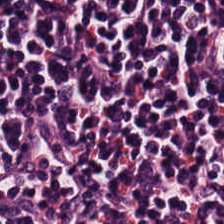H&E-stained tissue section — The tissue here is lymphocytes.
